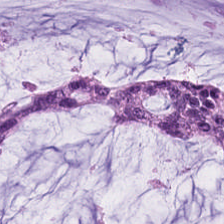0.5 µm/px; hematoxylin-and-eosin stained section.
Q: What type of tissue is this?
A: Mucus.
